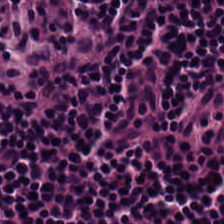Stain: H&E-stained tissue section.
Tissue: lymphoid infiltrate.
